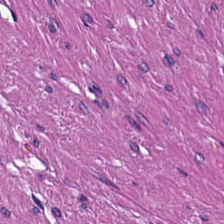Q: What tissue type is shown here?
A: This is smooth-muscle tissue.
